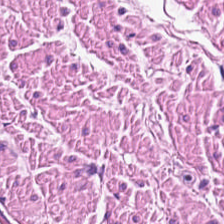FFPE. H&E stain.
Showing muscularis.
